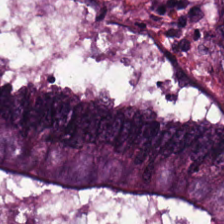H&E stain.
The predominant tissue is adenocarcinoma.
